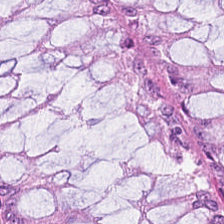H&E stain. Predominantly normal colon mucosa.
